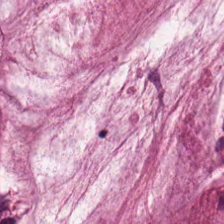H&E stain; brightfield microscopy — The classification is mucus.
